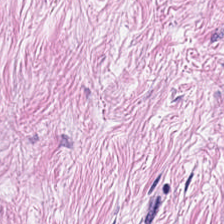H&E-stained tissue section. Predominant tissue = tumor stroma.
